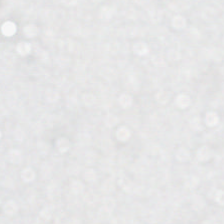This field is background (no tissue).
